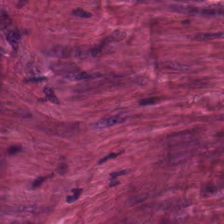Stain: H&E.
Predominant tissue: tumor stroma.
